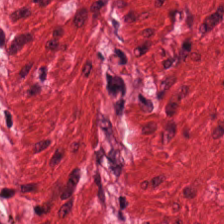H&E-stained tissue section. Q: What is the predominant tissue type?
A: Smooth muscle.
